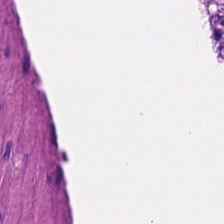The tissue here is smooth muscle.
